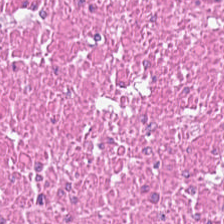H&E. This patch shows muscularis.
